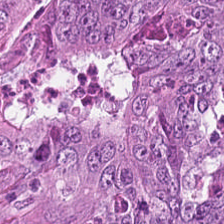FFPE · hematoxylin-and-eosin stained section · 224×224 px patch — Predominantly malignant epithelium.
